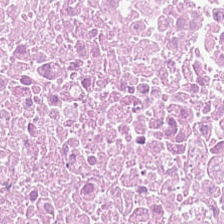H&E · 0.5 microns per pixel · 224×224 px patch.
Tissue type = cellular debris.
